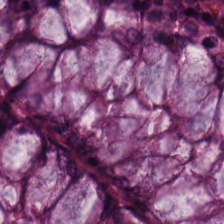0.5 microns per pixel · brightfield microscopy · hematoxylin and eosin.
Q: What is shown in this field?
A: This is benign colonic mucosa.
